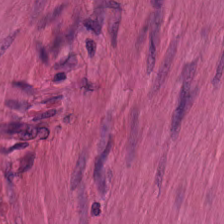H&E stain. The predominant tissue is smooth muscle.
